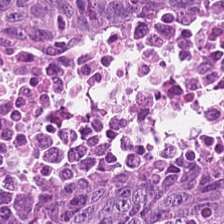FFPE. H&E-stained tissue section.
Finding — colorectal adenocarcinoma epithelium.
